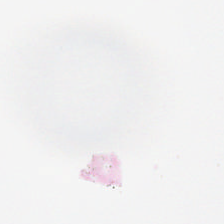Field content = background (no tissue).
